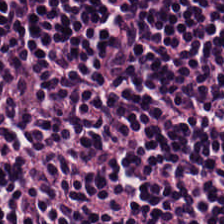FFPE. Hematoxylin-and-eosin stained section — This field is lymphoid infiltrate.
